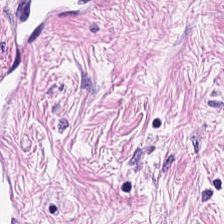The tissue type is cancer-associated stroma.
